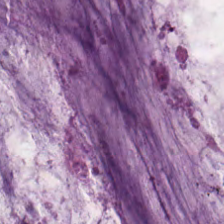Stain: H&E stain.
Tile size: 224×224 pixel tile.
Tissue type: mucin.
